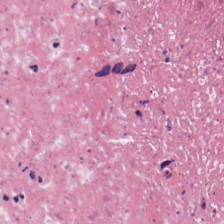20× equivalent magnification. FFPE. H&E stain. Q: What is shown in this field?
A: It is cellular debris.
